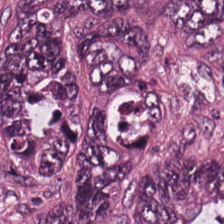This field is colorectal adenocarcinoma epithelium.
